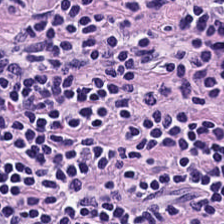The tissue here is lymphocytic infiltrate.
